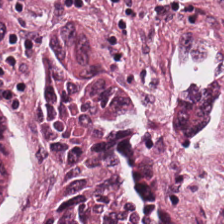FFPE · H&E-stained tissue section — This field is colorectal adenocarcinoma.
